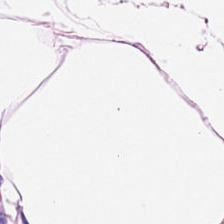FFPE tissue section · H&E-stained tissue section. Predominantly fat tissue.
